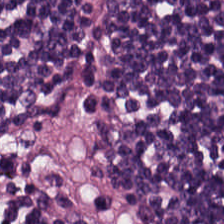H&E-stained tissue section. 224×224 px patch. 20× equivalent magnification.
Q: What is shown in this field?
A: Lymphoid infiltrate.
